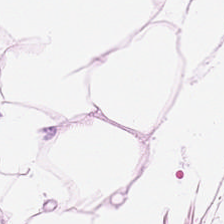Stain: H&E-stained tissue section.
Predominant tissue: adipocytes.
